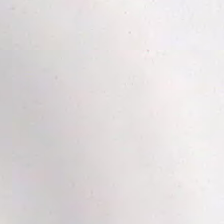WSI patch; H&E-stained tissue section; 0.5 microns per pixel. Background — no tissue in this field.
